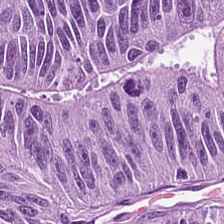Hematoxylin-and-eosin stained section · 20× equivalent magnification. Q: What is the predominant tissue type?
A: Tumor epithelium.
